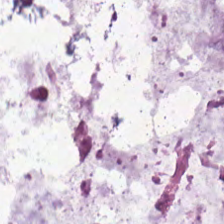Classification = mucin.
